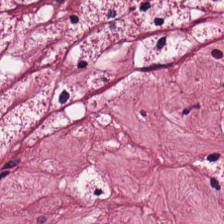Showing tumor stroma.
